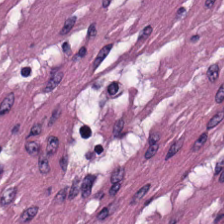Hematoxylin and eosin. This field is smooth-muscle tissue.
